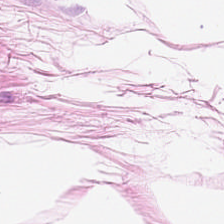Hematoxylin and eosin. The predominant tissue is adipose tissue.
